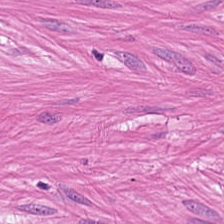Whole-slide-image patch. H&E — Q: What tissue type is shown here?
A: This is smooth-muscle tissue.
